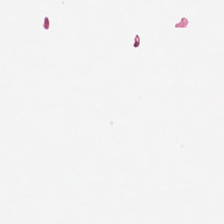H&E-stained tissue section · 20× equivalent magnification · 224×224 px tile — Content = no tissue.
